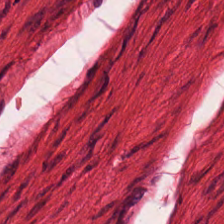Tissue class — muscularis.
